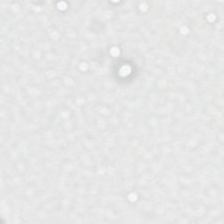Stain: hematoxylin and eosin.
Content: background (no tissue).
